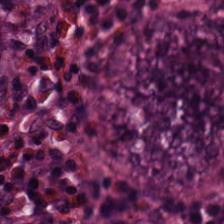FFPE. H&E. Histology — normal colon mucosa.
